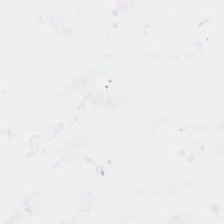Hematoxylin-and-eosin stained section — No tissue present; background only.
